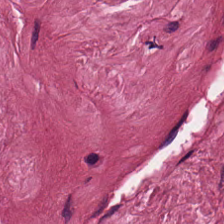H&E — Predominantly cancer-associated stroma.
